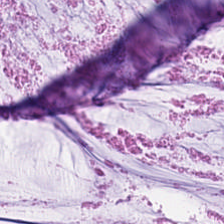H&E-stained tissue section.
Showing extracellular mucin.
